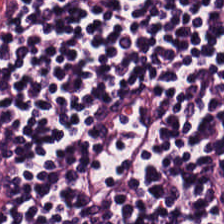WSI patch. Hematoxylin-and-eosin stained section. {"tissue_type": "lymphocytes"}
